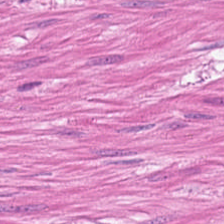H&E · brightfield microscopy — Tissue type — smooth-muscle tissue.
